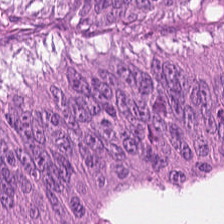H&E stain. Q: What tissue type is shown here?
A: Tumor epithelium.
